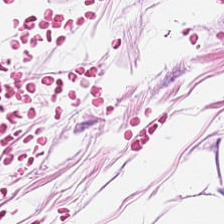0.5 µm/px; FFPE; H&E-stained tissue section. Predominantly adipose tissue.
